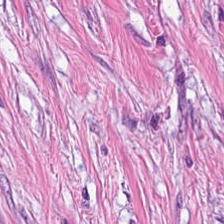H&E — Predominant tissue = tumor-associated stroma.
